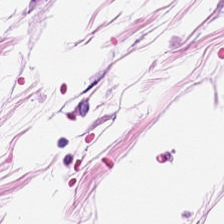H&E stain. Q: What is shown here?
A: Adipose.
